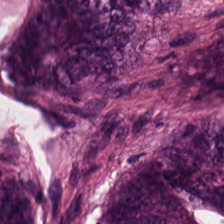Hematoxylin and eosin · FFPE tissue section. Predominantly tumor epithelium.
